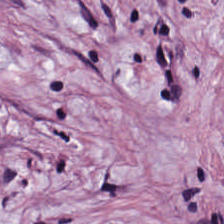Hematoxylin-and-eosin stained section. This field is desmoplastic stroma.
